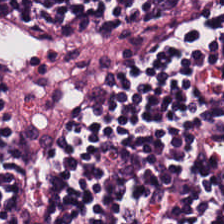FFPE · hematoxylin-and-eosin stained section.
Finding — lymphoid infiltrate.
